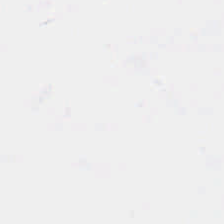Histology → background.
